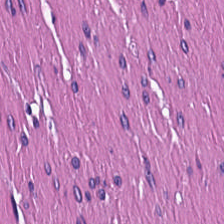H&E-stained tissue section showing muscularis.
